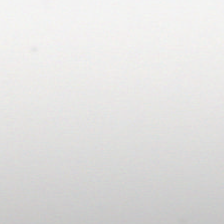Finding — no tissue.
